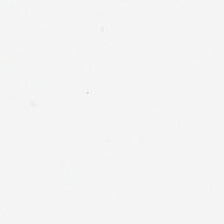Background (no tissue).
